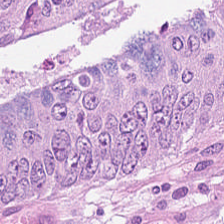224×224 px tile · hematoxylin-and-eosin stained section. Predominant tissue — adenocarcinoma.
